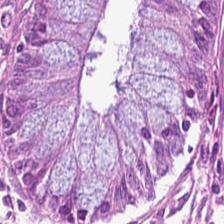Classification — normal colonic mucosa.
